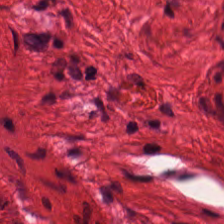Hematoxylin-and-eosin stained section.
Q: Identify the tissue.
A: This is smooth muscle.
